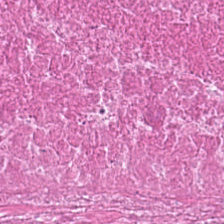H&E-stained tissue section — The classification is cellular debris.
